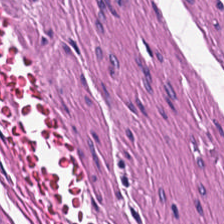H&E stain — Tissue: smooth-muscle tissue.
